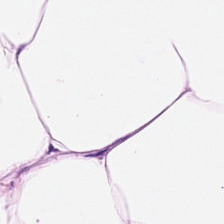224×224 px patch · hematoxylin and eosin · 0.5 µm per pixel.
The predominant tissue is adipose.
